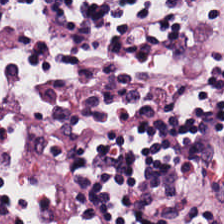Stain: H&E-stained tissue section.
Preparation: FFPE tissue section.
Resolution: 0.5 microns per pixel.
Tissue type: lymphocytic infiltrate.
